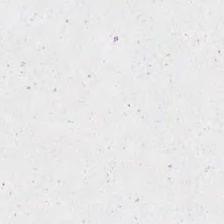Hematoxylin and eosin — Field content: empty background.
